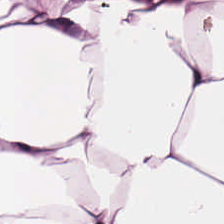H&E-stained tissue section showing adipose.
